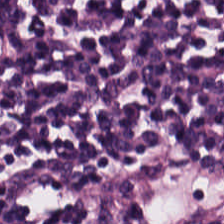{"tissue_type": "lymphoid infiltrate"}
